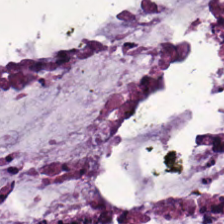Hematoxylin-and-eosin stained section. The predominant tissue is mucus.
